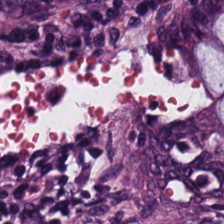H&E-stained tissue section. 0.5 µm/px. 224×224 pixel tile — This patch shows benign colonic mucosa.
